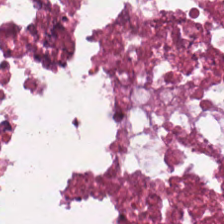Hematoxylin and eosin. Histology — necrotic debris.
